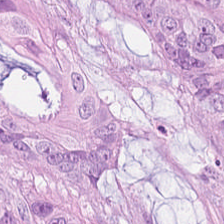H&E-stained tissue section. 224×224 px tile — Finding → tumor epithelium.
